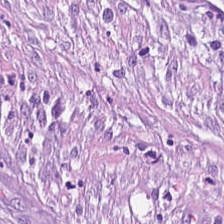H&E-stained tissue section. Whole-slide-image patch.
Desmoplastic stroma.
